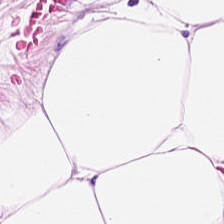H&E-stained tissue section — Q: What does this patch show?
A: This is fat tissue.
